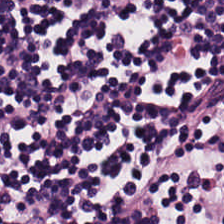0.5 µm/px; 224×224 px tile; hematoxylin-and-eosin stained section — Finding → lymphocytes.
